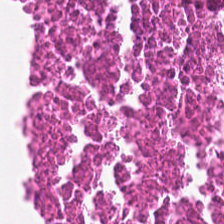Stain: H&E-stained tissue section.
Predominant tissue: debris.
